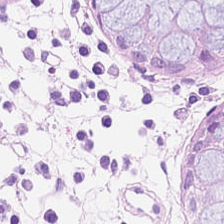Hematoxylin-and-eosin stained section; WSI patch. Q: What type of tissue is this?
A: This is non-neoplastic colon mucosa.
